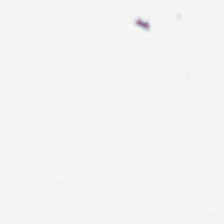H&E-stained tissue section.
The content is background.
